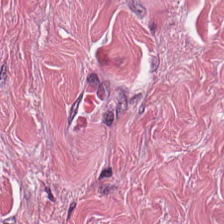H&E-stained tissue section. Predominant tissue — tumor stroma.
